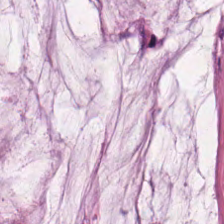H&E-stained tissue section — Predominantly mucus.
